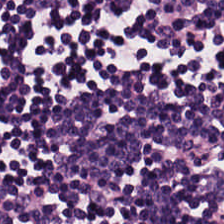Formalin-fixed paraffin-embedded section · 224×224 px patch · hematoxylin-and-eosin stained section — Histology — lymphoid infiltrate.
